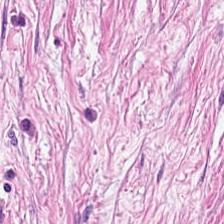Stain: H&E stain.
Resolution: 0.5 µm/px.
Tissue class: tumor-associated stroma.
